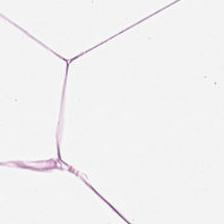Stain: H&E stain.
Resolution: 0.5 microns per pixel.
Preparation: FFPE.
Tissue type: adipocytes.
